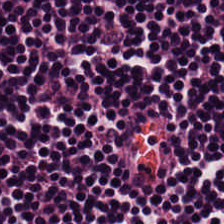The predominant tissue is lymphoid infiltrate.
